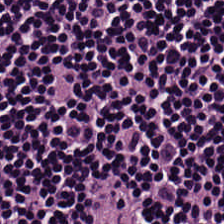The classification is lymphocytes.
